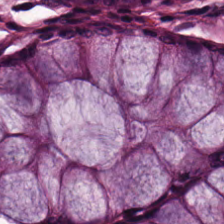H&E-stained tissue section — Non-neoplastic colon mucosa.
